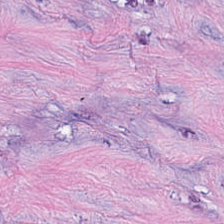FFPE. H&E-stained tissue section. Q: What tissue is shown?
A: Desmoplastic stroma.
